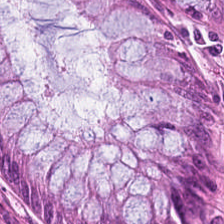H&E stain · FFPE · WSI patch.
This patch shows normal colonic mucosa.
